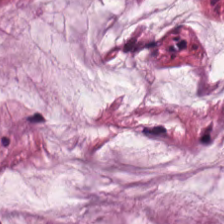224×224 px tile · hematoxylin and eosin — {"tissue_type": "extracellular mucin"}
